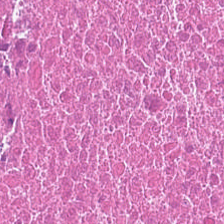0.5 µm per pixel; hematoxylin and eosin.
The tissue here is debris.
